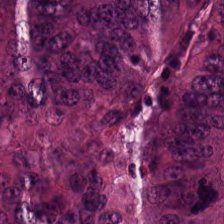H&E-stained tissue section — The tissue class is malignant epithelium.
